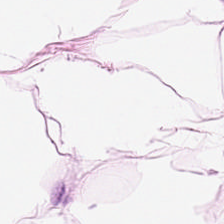0.5 microns per pixel · hematoxylin-and-eosin stained section · brightfield microscopy. Tissue — adipose tissue.
